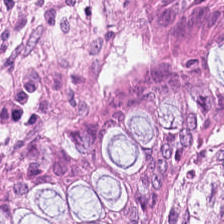Hematoxylin and eosin. Impression — non-neoplastic colon mucosa.
